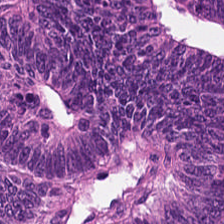H&E-stained tissue section · WSI patch. Showing colorectal adenocarcinoma epithelium.
